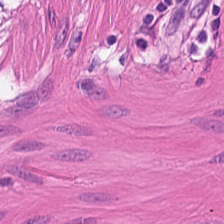H&E-stained tissue section.
Q: Classify this patch.
A: This is smooth-muscle tissue.
